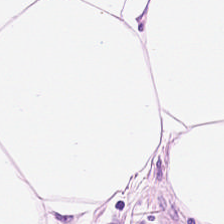Fat tissue.
